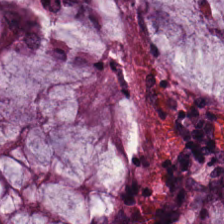224×224 px tile · H&E stain · brightfield.
Classification — normal colon mucosa.
